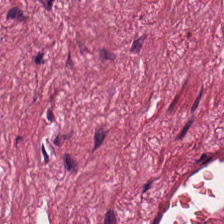Hematoxylin-and-eosin stained section.
The classification is cancer-associated stroma.
